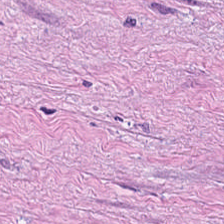Stain: hematoxylin and eosin.
Tissue type: cancer-associated stroma.
